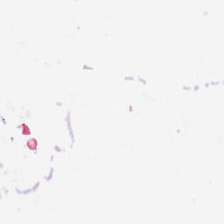Hematoxylin and eosin.
This field is background (no tissue).
